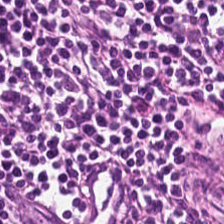WSI patch; H&E stain — Lymphocytes.
